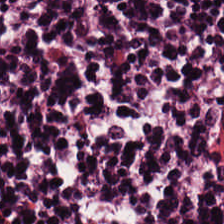H&E-stained tissue section. FFPE.
Tissue class = lymphocyte aggregate.
